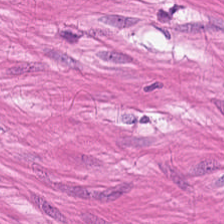Hematoxylin-and-eosin stained section.
This field is smooth muscle.
